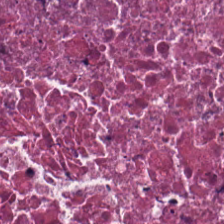Stain: hematoxylin and eosin.
Preparation: FFPE tissue section.
Predominant tissue: necrotic debris.
